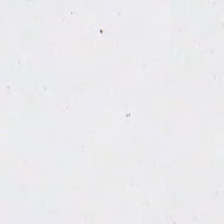H&E. Q: What does this patch show?
A: It is no tissue.
